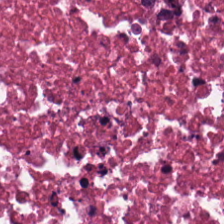224×224 px tile. H&E.
The predominant tissue is necrotic debris.
